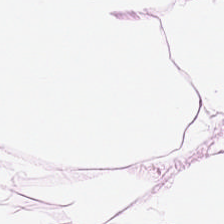Stain: H&E stain.
Tissue: adipocytes.
